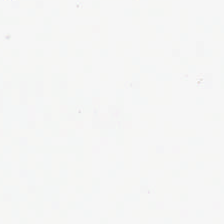0.5 µm/px · hematoxylin-and-eosin stained section · 224×224 px patch. Content = background (no tissue).
